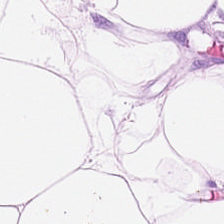Hematoxylin and eosin.
Q: Classify this patch.
A: The field shows adipose.
